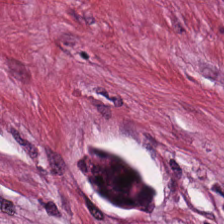0.5 microns per pixel · H&E-stained tissue section. The tissue here is tumor-associated stroma.
